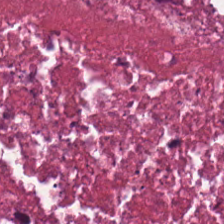H&E stain. The tissue is cellular debris.
